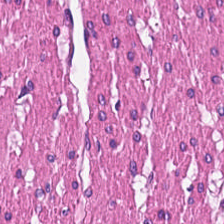Hematoxylin-and-eosin stained section — Q: What tissue is shown?
A: The field shows smooth-muscle tissue.
